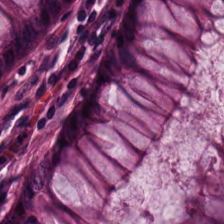H&E stain. FFPE tissue section — The predominant tissue is non-neoplastic colon mucosa.
